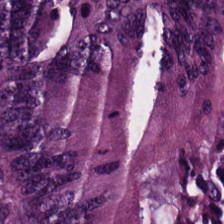Hematoxylin-and-eosin stained section. This field is colorectal adenocarcinoma epithelium.
